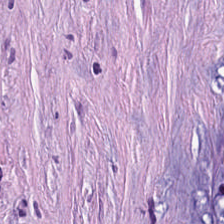Q: What tissue type is shown here?
A: This is tumor-associated stroma.
